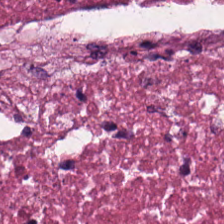Hematoxylin and eosin · 224×224 px tile. Histology — necrotic debris.
